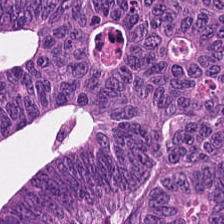Hematoxylin-and-eosin stained section. 224×224 px tile — Predominant tissue = adenocarcinoma.
